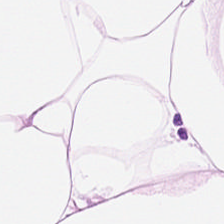Predominant tissue: adipose tissue.
